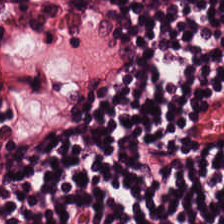Predominantly lymphocytic infiltrate.
